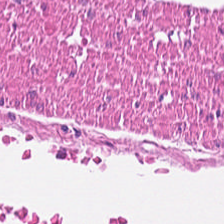Hematoxylin-and-eosin stained section. Predominant tissue — smooth muscle.
